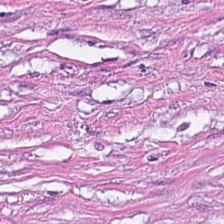H&E — The tissue here is tumor stroma.
